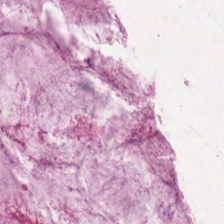H&E — This field is mucin.
